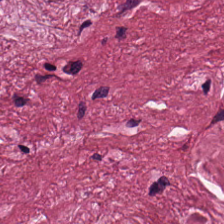Hematoxylin-and-eosin stained section; brightfield. Desmoplastic stroma.
